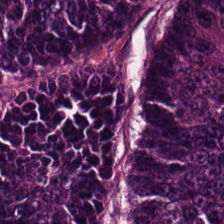Stain: H&E-stained tissue section.
Resolution: 0.5 µm/px.
Tile size: 224×224 pixel tile.
Predominant tissue: adenocarcinoma.
